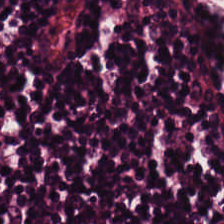Tissue type = lymphocytes.
